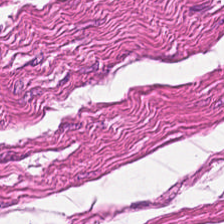Predominant tissue = smooth-muscle tissue.
